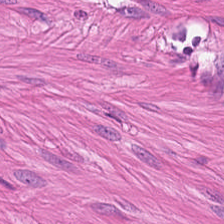H&E-stained tissue section.
Impression → muscularis.
